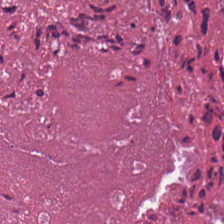Hematoxylin-and-eosin stained section.
{"tissue_type": "debris"}
